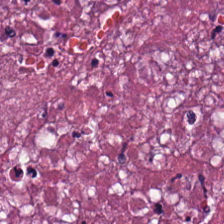224×224 px tile · whole-slide-image patch · H&E. The tissue here is necrotic debris.
